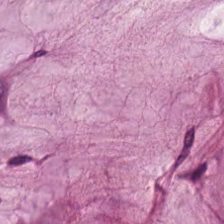H&E-stained tissue section — Tissue class — extracellular mucin.
